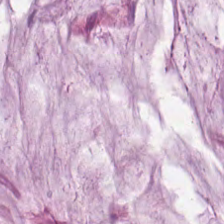Stain: H&E stain.
Acquisition: whole-slide-image patch.
Tissue: extracellular mucin.
